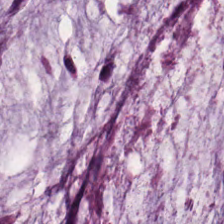H&E — Tissue = mucin.
